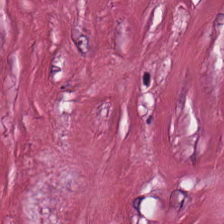H&E-stained tissue section. Classification: tumor stroma.
